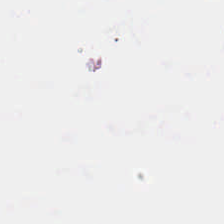H&E stain — Q: Classify this patch.
A: It is empty background.
